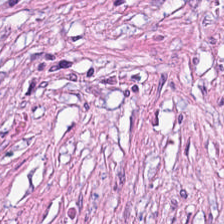H&E-stained tissue section · FFPE · 0.5 µm/px — Predominant tissue = cancer-associated stroma.
